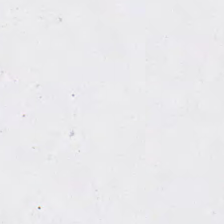224×224 px patch. Hematoxylin-and-eosin stained section — Background — no tissue in this field.
